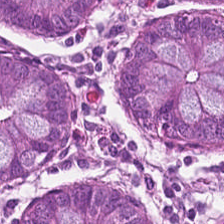Formalin-fixed paraffin-embedded section; H&E.
Histology → non-neoplastic colon mucosa.
